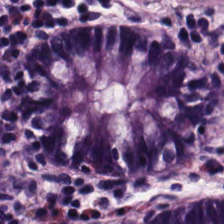Hematoxylin-and-eosin section: normal colon mucosa.
